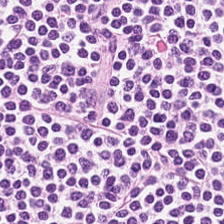Finding — lymphocytic infiltrate.
